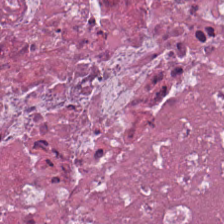H&E.
Tissue — debris.
